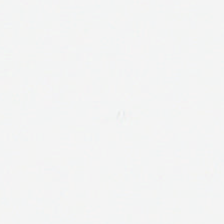224×224 px patch · H&E-stained tissue section · FFPE. {"content": "background"}
